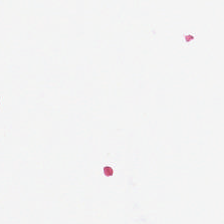Stain: H&E.
Content: background.
